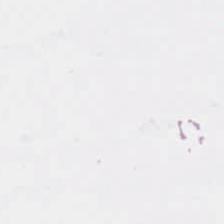Stain: hematoxylin and eosin.
Acquisition: whole-slide-image patch.
Content: background.
